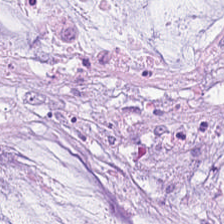Tissue = mucin.
